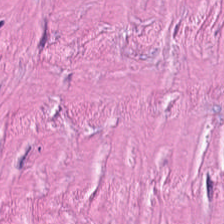20× equivalent magnification; H&E. Predominant tissue — desmoplastic stroma.
